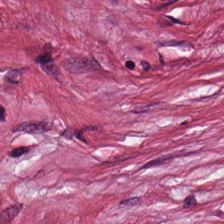Q: What does this patch show?
A: Cancer-associated stroma.
